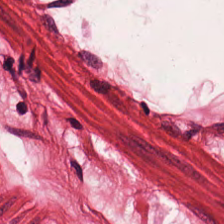Hematoxylin and eosin.
Finding — smooth-muscle tissue.
